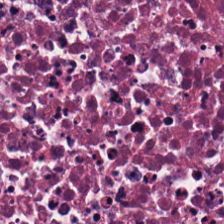Hematoxylin and eosin.
Q: Classify this patch.
A: It is debris.
